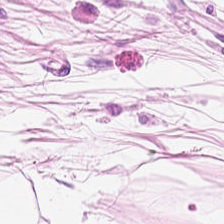Hematoxylin-and-eosin stained section. 0.5 µm/px. The predominant tissue is adipose tissue.
